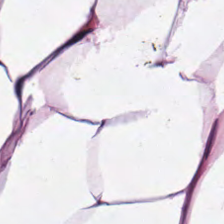Stain: H&E stain.
Tissue: adipose.
